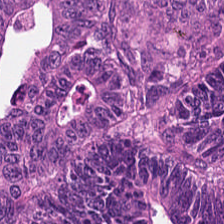224×224 px tile; brightfield; H&E-stained tissue section.
Showing malignant epithelium.
